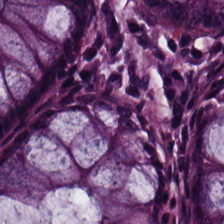Hematoxylin and eosin · 224×224 px patch. Finding → non-neoplastic colon mucosa.
